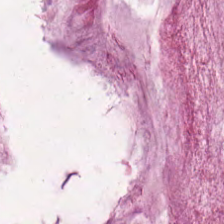20× equivalent magnification; hematoxylin-and-eosin stained section — Finding → mucin.
